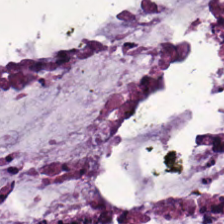H&E-stained tissue section. 20× equivalent magnification. {"tissue_type": "mucin"}
